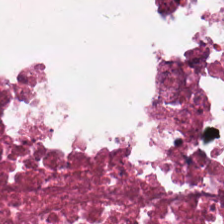FFPE tissue section; H&E stain — {"tissue_type": "necrotic debris"}
